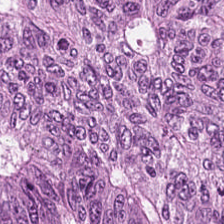Q: What is shown in this field?
A: The field shows adenocarcinoma.
